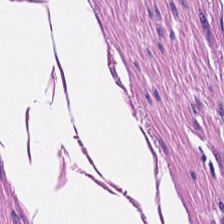Tissue = smooth muscle.
